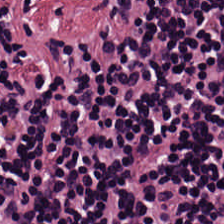Hematoxylin and eosin.
Q: What is the predominant tissue type?
A: It is lymphocytic infiltrate.
